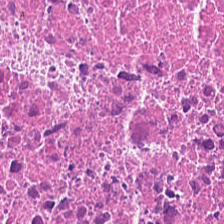Formalin-fixed paraffin-embedded section. Hematoxylin and eosin. This field is cellular debris.
